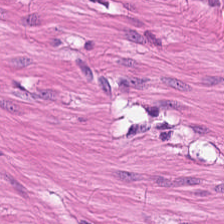Q: Identify the tissue.
A: This is smooth-muscle tissue.
